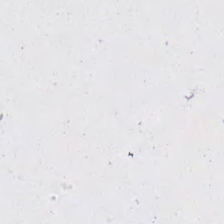H&E-stained tissue section. FFPE — Finding → background.
